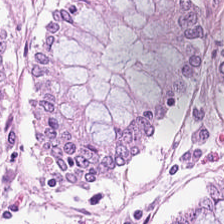This field is non-neoplastic colon mucosa.
